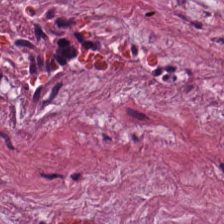Hematoxylin-and-eosin stained section; 0.5 µm/px; WSI patch.
Q: What type of tissue is this?
A: It is cancer-associated stroma.
